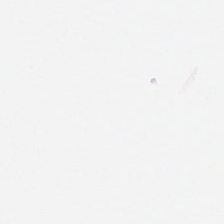Hematoxylin-and-eosin stained section — This patch shows no tissue.
